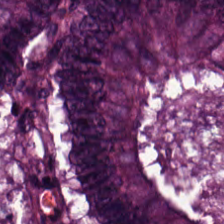H&E-stained tissue section; formalin-fixed paraffin-embedded section; 20× equivalent magnification.
The tissue here is colorectal adenocarcinoma epithelium.
